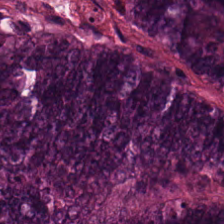H&E.
Adenocarcinoma.
